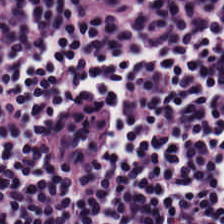Hematoxylin and eosin — Predominantly lymphocyte aggregate.
